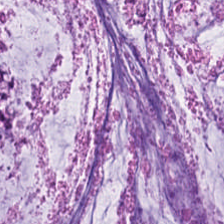0.5 µm/px. 224×224 px tile. H&E.
Showing mucus.
